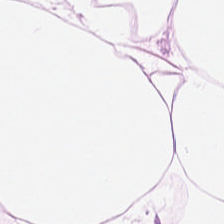20× equivalent magnification; H&E. Tissue — fat tissue.
